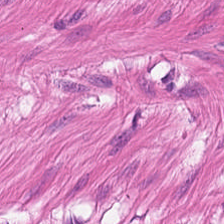Stain: H&E.
Acquisition: WSI patch.
Tissue class: smooth muscle.
